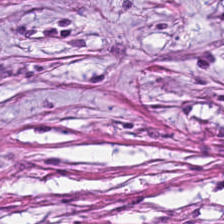Hematoxylin-and-eosin stained section. 20× equivalent magnification. 224×224 pixel tile — Showing cancer-associated stroma.
